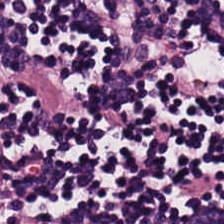H&E-stained tissue section. 224×224 px tile. Predominant tissue = lymphocytes.
